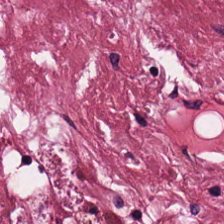H&E-stained tissue section; whole-slide-image patch. Finding — desmoplastic stroma.
